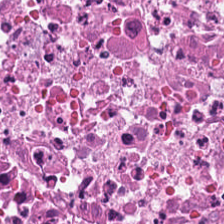H&E-stained tissue section.
The predominant tissue is debris.
